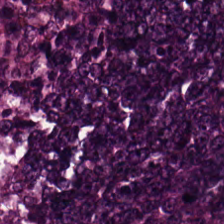Stain: hematoxylin-and-eosin stained section.
Predominant tissue: colorectal adenocarcinoma.
